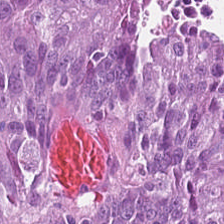Stain: H&E.
Resolution: 0.5 microns per pixel.
Tissue: colorectal adenocarcinoma epithelium.
